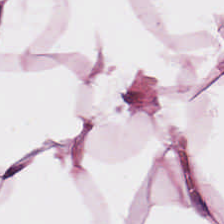H&E — fat tissue.
